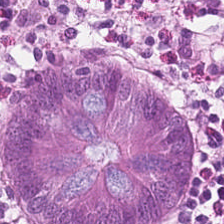Hematoxylin and eosin. Q: What is shown here?
A: Benign colonic mucosa.
